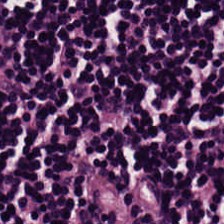224×224 px patch; H&E.
The tissue type is lymphoid infiltrate.
